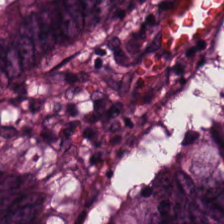Hematoxylin-and-eosin stained section — {"tissue_type": "tumor epithelium"}
